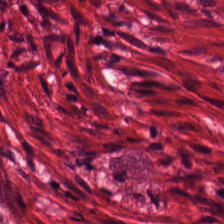H&E — smooth-muscle tissue.
